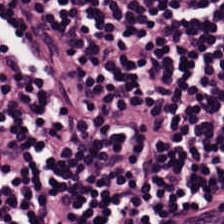H&E-stained tissue section.
The tissue is lymphocyte aggregate.
